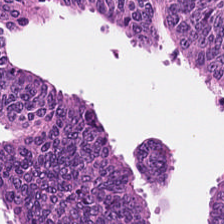This patch shows colorectal adenocarcinoma.
